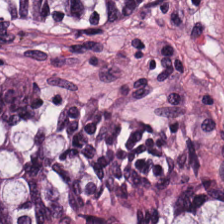H&E.
Non-neoplastic colon mucosa.
